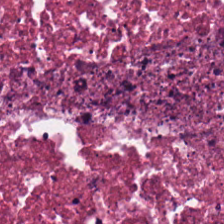Hematoxylin and eosin.
This patch shows debris.
